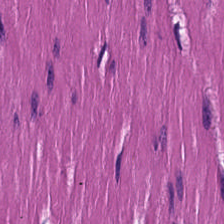Formalin-fixed paraffin-embedded section; 224×224 pixel tile; hematoxylin and eosin. This field is smooth muscle.
